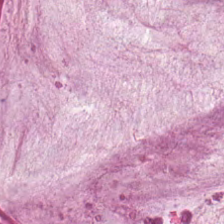Hematoxylin and eosin; 0.5 microns per pixel; FFPE — The predominant tissue is mucin.
